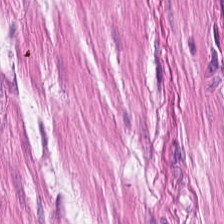H&E-stained tissue section. This field is muscularis.
